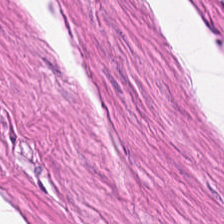H&E stain.
Finding → smooth muscle.
